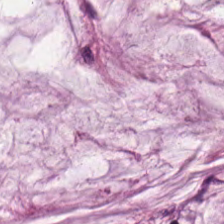H&E · 224×224 pixel tile · 0.5 microns per pixel.
The tissue here is mucus.
